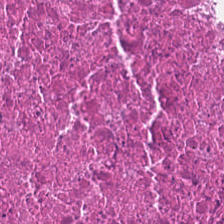Stain: H&E.
Tissue type: cellular debris.
